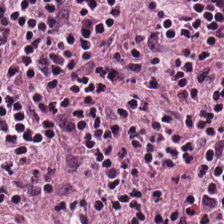Tissue — lymphocytes.
